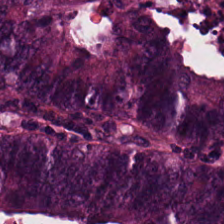H&E-stained tissue section; FFPE; 224×224 pixel tile.
Showing adenocarcinoma.
